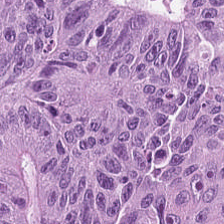Stain: H&E stain.
Tissue type: colorectal adenocarcinoma epithelium.
